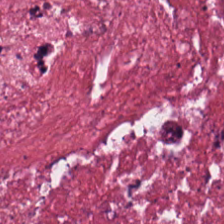Tissue type: cancer-associated stroma.
